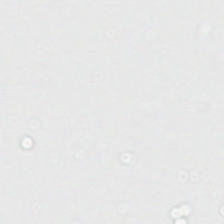H&E-stained tissue section · FFPE tissue section · 20× equivalent magnification.
Q: Classify this patch.
A: The field shows no tissue.
